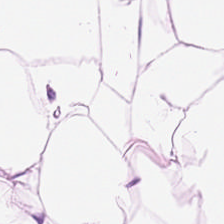0.5 µm per pixel. H&E-stained tissue section.
Predominant tissue — fat tissue.
